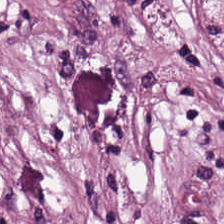This patch shows tumor stroma.
